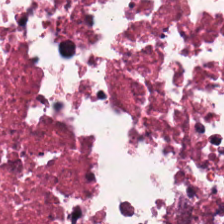H&E stain.
Q: What type of tissue is this?
A: The field shows cellular debris.
